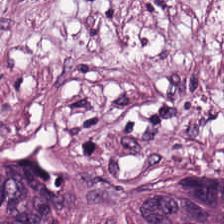Q: What type of tissue is this?
A: Tumor-associated stroma.
